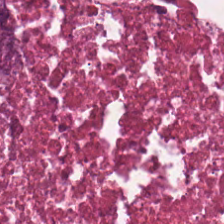The tissue is necrotic debris.
